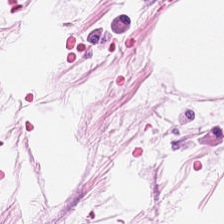Hematoxylin and eosin. Whole-slide-image patch. 0.5 microns per pixel.
Q: What is shown in this field?
A: It is adipose tissue.
